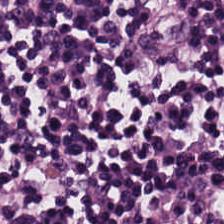Histology — lymphoid infiltrate.
